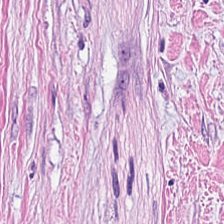H&E-stained section; the field shows tumor stroma.
